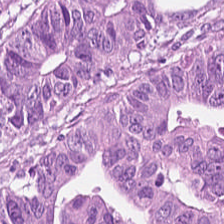FFPE tissue section. H&E.
Impression → adenocarcinoma.
